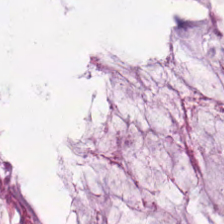H&E patch showing extracellular mucin.
